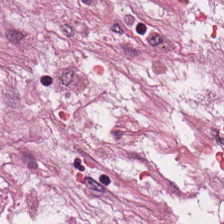0.5 microns per pixel. Hematoxylin-and-eosin stained section. Q: What is the predominant tissue type?
A: Tumor-associated stroma.
